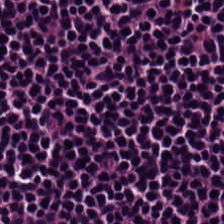{"tissue_type": "lymphocytes"}
